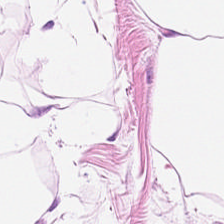FFPE · 0.5 microns per pixel · H&E.
Showing adipose tissue.
